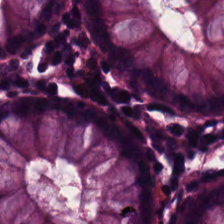H&E-stained tissue section. FFPE tissue section.
The tissue type is normal colon mucosa.
